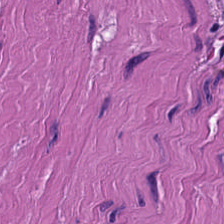Predominantly smooth-muscle tissue.
